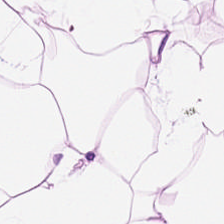FFPE; H&E-stained tissue section — Tissue class: adipose.
